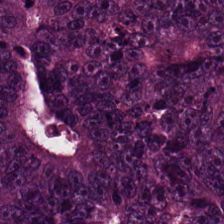FFPE tissue section. Hematoxylin and eosin.
Predominant tissue = adenocarcinoma.
